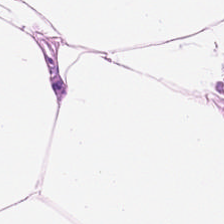224×224 px patch. WSI patch. Hematoxylin and eosin — Finding → adipocytes.
